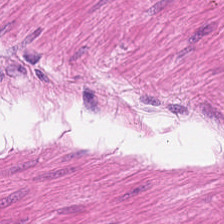Stain: H&E.
Tissue: muscularis.
